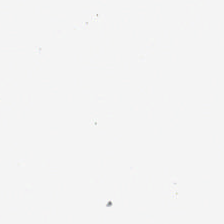H&E; WSI patch; 224×224 px patch. Empty background.
